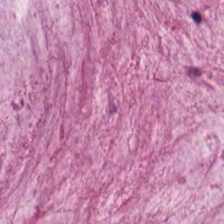224×224 px tile. Whole-slide-image patch. H&E. {"tissue_type": "extracellular mucin"}
